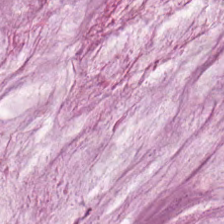Hematoxylin-and-eosin stained section.
Predominantly extracellular mucin.
